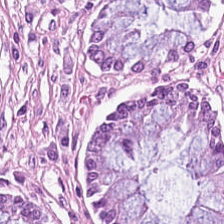H&E patch showing non-neoplastic colon mucosa.
